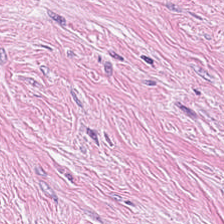Impression → tumor-associated stroma.
